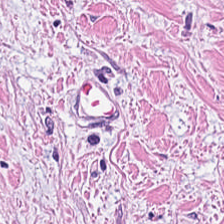Q: Classify this patch.
A: The field shows tumor-associated stroma.
